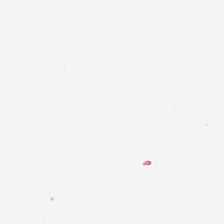Whole-slide-image patch. 0.5 µm per pixel. Hematoxylin-and-eosin stained section.
This patch shows background (no tissue).
